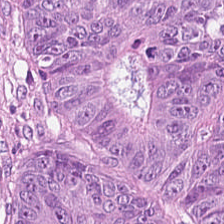Brightfield microscopy · H&E stain. Tumor epithelium.
